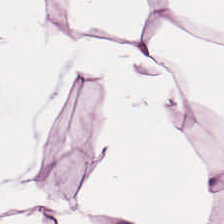Stain: H&E-stained tissue section.
Classification: adipocytes.
